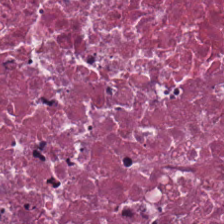WSI patch · 0.5 µm per pixel · hematoxylin and eosin.
Debris.
